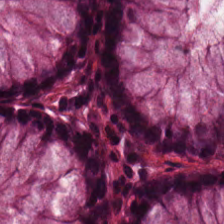Predominantly normal colonic mucosa.
